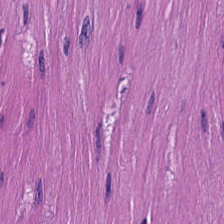Predominantly smooth-muscle tissue.
